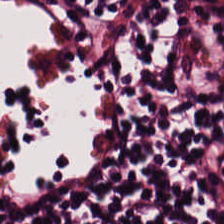Whole-slide-image patch · 224×224 px tile · H&E — Tissue type: lymphocyte aggregate.
